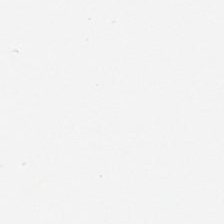Hematoxylin-and-eosin stained section. 0.5 microns per pixel. This patch shows adipocytes.
